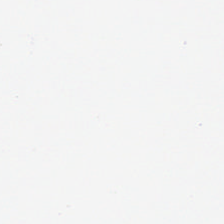0.5 µm/px. H&E-stained tissue section. FFPE.
This patch shows no tissue.
